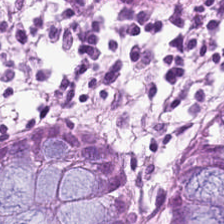Formalin-fixed paraffin-embedded section · H&E · 224×224 px tile.
The tissue here is non-neoplastic colon mucosa.
